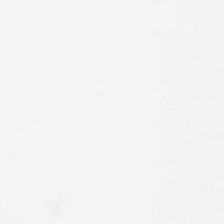H&E. Finding — background (no tissue).
